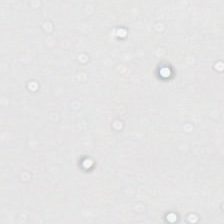FFPE · hematoxylin and eosin.
Field content — background.
